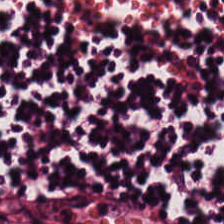Hematoxylin and eosin. 224×224 px tile. 0.5 µm/px. {"tissue_type": "lymphocytic infiltrate"}
